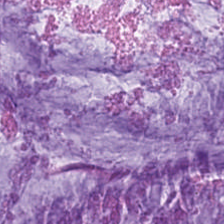Finding → extracellular mucin.
